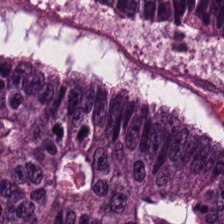H&E-stained tissue section — This field is tumor epithelium.
